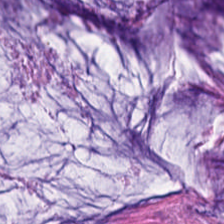Formalin-fixed paraffin-embedded section · hematoxylin and eosin · whole-slide-image patch — Tissue = mucus.
